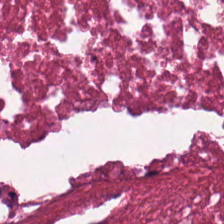Hematoxylin-and-eosin stained section.
Predominantly necrotic debris.
